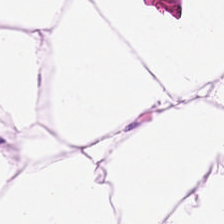Stain: H&E-stained tissue section.
Tile size: 224×224 px patch.
Classification: fat tissue.
